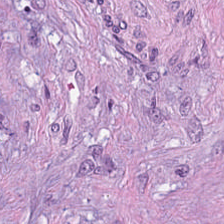H&E — Showing desmoplastic stroma.
